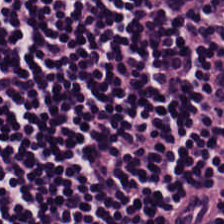Tissue — lymphoid infiltrate.
